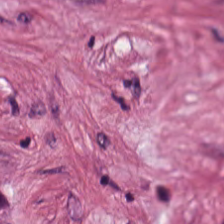H&E-stained tissue section — This field is tumor-associated stroma.
